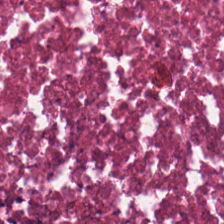Hematoxylin-and-eosin stained section — Q: Identify the tissue.
A: It is debris.
